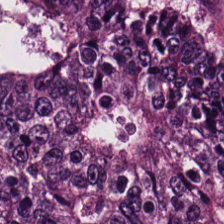Hematoxylin-and-eosin stained section. The tissue here is colorectal adenocarcinoma epithelium.
